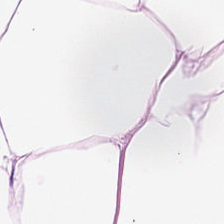H&E — The tissue type is fat tissue.
